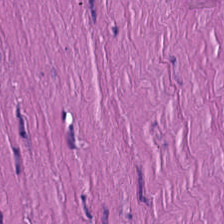Hematoxylin and eosin.
Muscularis.
